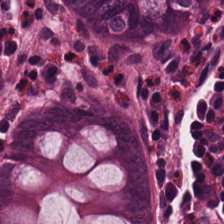Classification — non-neoplastic colon mucosa.
